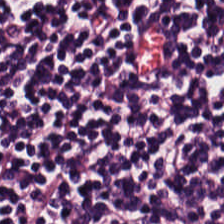Stain: hematoxylin-and-eosin stained section.
Tissue type: lymphocytic infiltrate.
